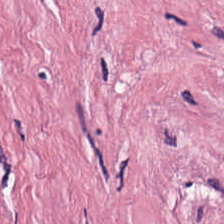Hematoxylin-and-eosin stained section.
Tissue class = desmoplastic stroma.
